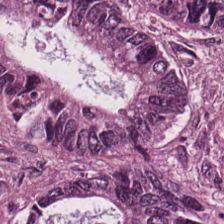Q: What is shown in this field?
A: The field shows malignant epithelium.
